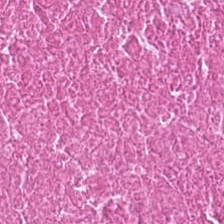Histology → cellular debris.
